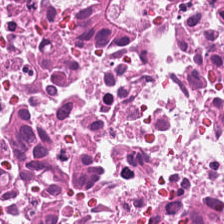Hematoxylin and eosin. Predominantly debris.
